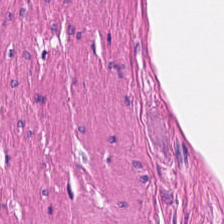H&E-stained tissue section — Tissue type — smooth muscle.
